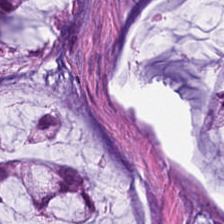Whole-slide-image patch · hematoxylin-and-eosin stained section.
The tissue here is mucin.
